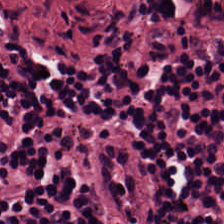Tissue = lymphocytic infiltrate.
